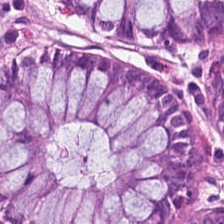Tissue = non-neoplastic colon mucosa.
